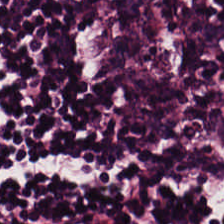H&E-stained tissue section — Q: Identify the tissue.
A: This is lymphocytic infiltrate.
